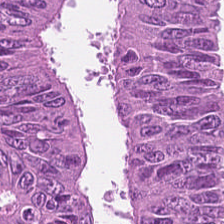Hematoxylin-and-eosin stained section — Predominantly adenocarcinoma.
